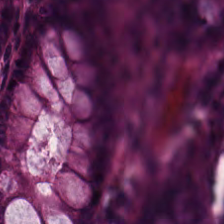Q: What is shown in this field?
A: The field shows normal colonic mucosa.
